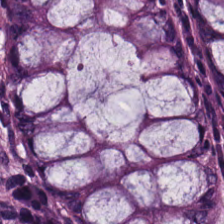H&E-stained tissue section.
{"tissue_type": "normal colon mucosa"}
